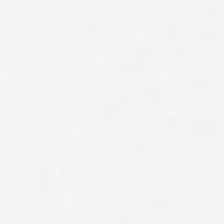20× equivalent magnification. Hematoxylin and eosin. 224×224 px tile. This field is background (no tissue).
